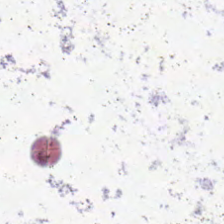The classification is background.
